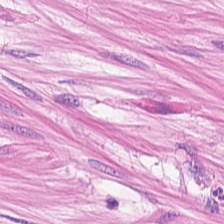Hematoxylin and eosin. The predominant tissue is muscularis.
